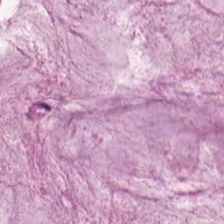Whole-slide-image patch · 0.5 microns per pixel · hematoxylin-and-eosin stained section — Tissue class: mucin.
